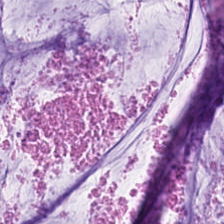This patch shows mucus.
